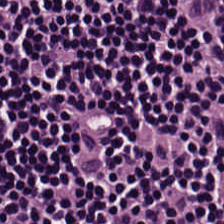224×224 pixel tile. Hematoxylin and eosin — This patch shows lymphocyte aggregate.
